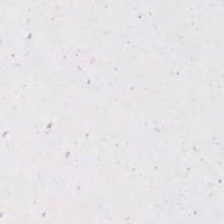Q: What is shown here?
A: The field shows no tissue.
